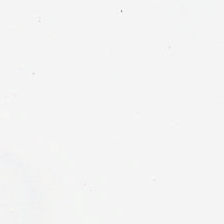H&E stain — {"content": "background"}
